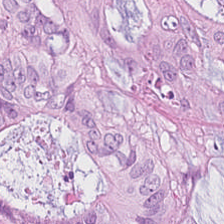Tissue — colorectal adenocarcinoma.
